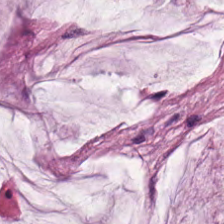20× equivalent magnification. Hematoxylin and eosin.
{"tissue_type": "mucin"}
